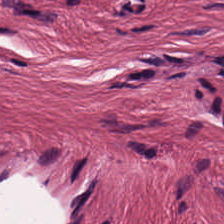Hematoxylin-and-eosin stained section; FFPE — Showing cancer-associated stroma.
